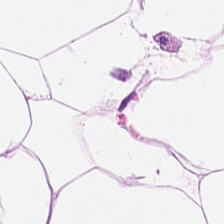FFPE tissue section · hematoxylin and eosin · 0.5 µm per pixel.
Tissue = adipocytes.
